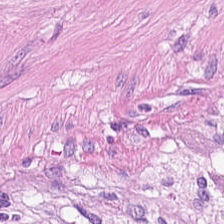Tissue — smooth-muscle tissue.
